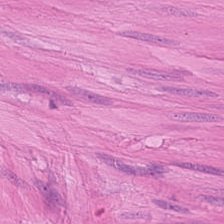Stain: hematoxylin-and-eosin stained section.
Resolution: 0.5 µm/px.
Tissue: smooth-muscle tissue.
